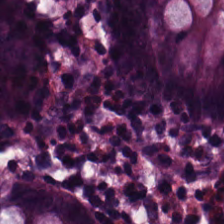H&E.
Tissue class — normal colon mucosa.
